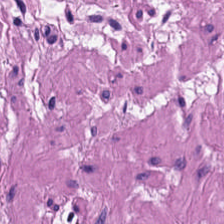H&E.
Smooth-muscle tissue.
